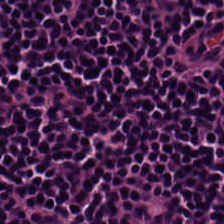H&E stain · 0.5 µm per pixel — This field is lymphocytic infiltrate.
